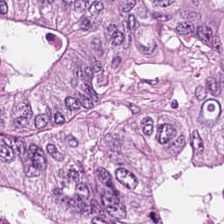Hematoxylin-and-eosin stained section — Tissue — adenocarcinoma.
